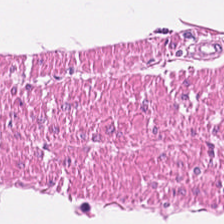H&E. 20× equivalent magnification — Showing smooth-muscle tissue.
